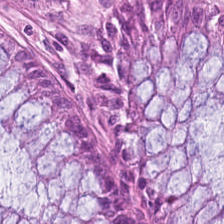Hematoxylin-and-eosin section: non-neoplastic colon mucosa.
